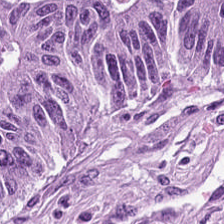H&E; FFPE. Predominantly tumor epithelium.
